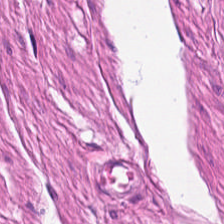224×224 px patch. Hematoxylin-and-eosin stained section. Predominant tissue: muscularis.
